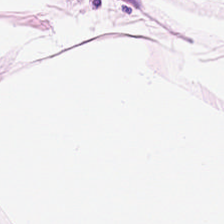Brightfield microscopy · H&E — This field is adipose tissue.
